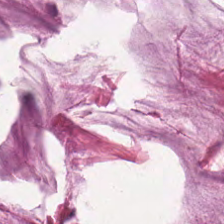Formalin-fixed paraffin-embedded section; brightfield microscopy; hematoxylin-and-eosin stained section.
Histology → mucin.
